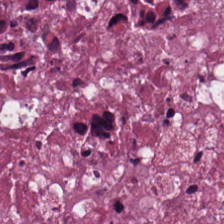H&E — The tissue here is cellular debris.
